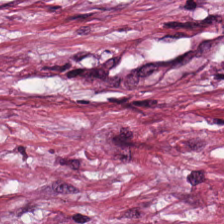0.5 µm per pixel. H&E. FFPE tissue section — Q: Classify this patch.
A: Tumor-associated stroma.
